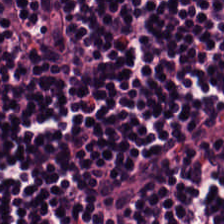H&E — This patch shows lymphoid infiltrate.
